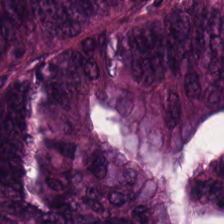Hematoxylin-and-eosin stained section — Predominantly adenocarcinoma.
